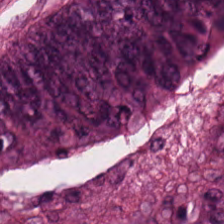Hematoxylin and eosin. Impression — mucin.
